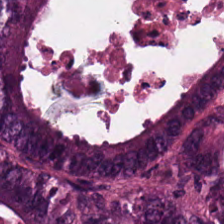Stain: H&E-stained tissue section.
Tissue: colorectal adenocarcinoma.
